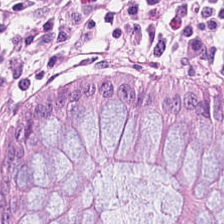H&E stain · 0.5 microns per pixel · brightfield.
The predominant tissue is normal colonic mucosa.
